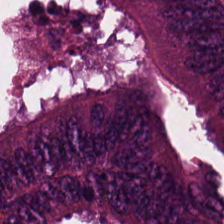Impression → malignant epithelium.
